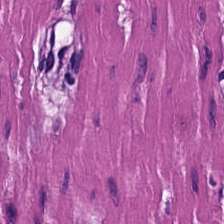Hematoxylin and eosin — Predominantly smooth-muscle tissue.
